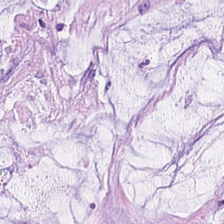Stain: H&E-stained tissue section.
Tissue class: mucus.
